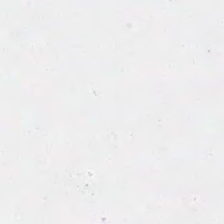Hematoxylin and eosin. The field content is background.
